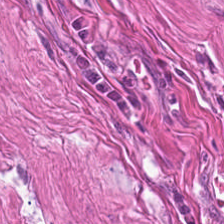H&E-stained tissue section.
{"tissue_type": "muscularis"}
